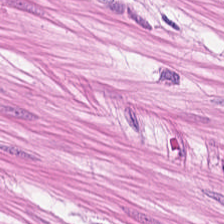224×224 pixel tile · hematoxylin and eosin · 20× equivalent magnification — The classification is smooth muscle.
